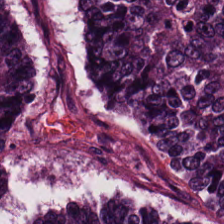Stain: hematoxylin-and-eosin stained section.
Tissue class: colorectal adenocarcinoma.
